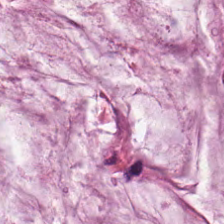Tissue — mucin.
